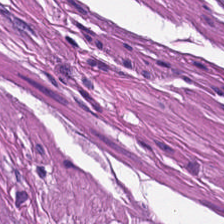H&E — smooth muscle.
